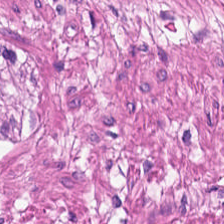Hematoxylin-and-eosin stained section.
Muscularis.
